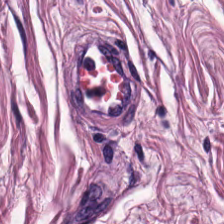The predominant tissue is muscularis.
